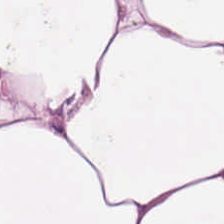20× equivalent magnification. H&E — This patch shows fat tissue.
